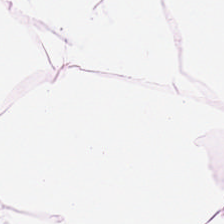0.5 microns per pixel; brightfield microscopy; H&E. Showing adipose tissue.
